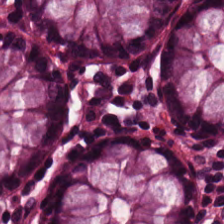H&E-stained tissue section — {"tissue_type": "non-neoplastic colon mucosa"}
